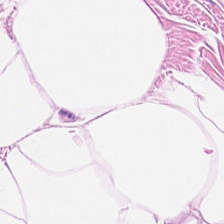{"tissue_type": "adipocytes"}
